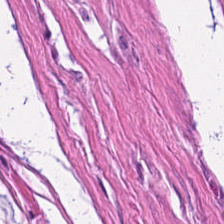Brightfield microscopy. H&E. {"tissue_type": "smooth muscle"}
